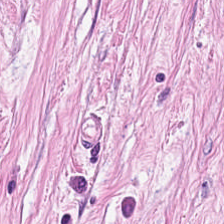Q: What tissue type is shown here?
A: It is desmoplastic stroma.
